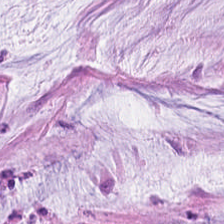WSI patch; hematoxylin-and-eosin stained section — Tissue — mucin.
